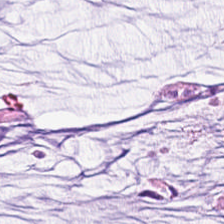224×224 px patch; hematoxylin-and-eosin stained section.
The tissue here is mucin.
